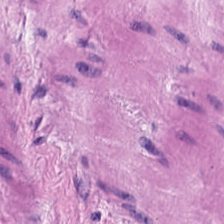H&E · 0.5 µm per pixel · 224×224 px tile — Q: What type of tissue is this?
A: This is smooth muscle.
